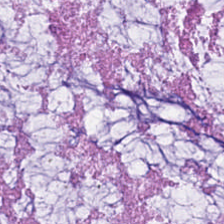20× equivalent magnification. Hematoxylin and eosin.
Q: What tissue type is shown here?
A: This is mucin.
